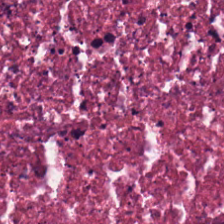H&E-stained tissue section; brightfield — This patch shows necrotic debris.
